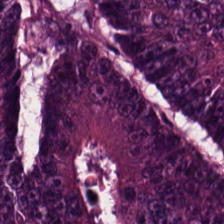Hematoxylin and eosin. Predominantly tumor epithelium.
